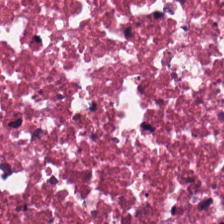H&E; 224×224 px patch; whole-slide-image patch — This patch shows necrotic debris.
